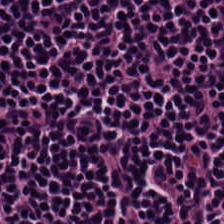Predominantly lymphocytes.
